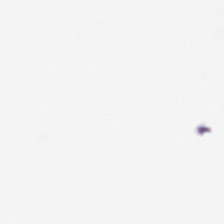Hematoxylin-and-eosin stained section. Q: What does this patch show?
A: This is no tissue.
